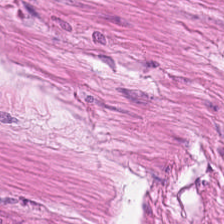Whole-slide-image patch; H&E-stained tissue section. This field is muscularis.
